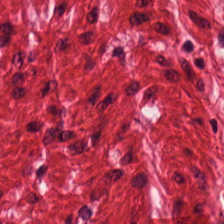Brightfield; 224×224 px patch; hematoxylin-and-eosin stained section — {"tissue_type": "smooth muscle"}
